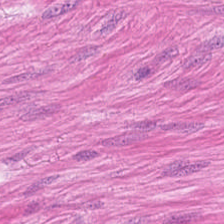Hematoxylin-and-eosin stained section. Q: What tissue type is shown here?
A: This is smooth-muscle tissue.
